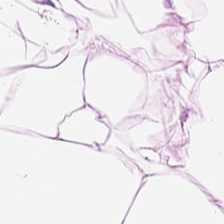H&E-stained tissue section. Classification: adipose.
